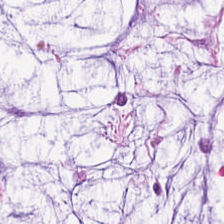Tissue class = extracellular mucin.
